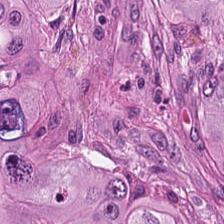H&E. Q: What tissue type is shown here?
A: Colorectal adenocarcinoma epithelium.
